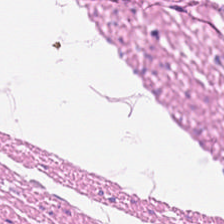H&E-stained tissue section. Brightfield microscopy — Showing muscularis.
